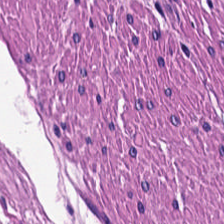Tissue class — muscularis.
